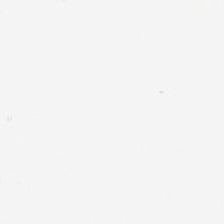Brightfield. 224×224 pixel tile. H&E stain. Field content — background.
